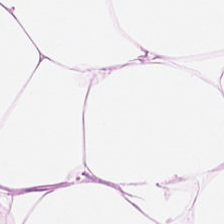This patch shows adipose.
